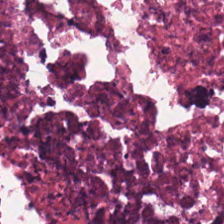Hematoxylin-and-eosin stained section.
The tissue class is cellular debris.
